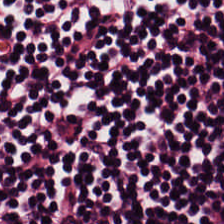FFPE; 0.5 microns per pixel; H&E-stained tissue section — Q: What tissue is shown?
A: The field shows lymphocyte aggregate.
